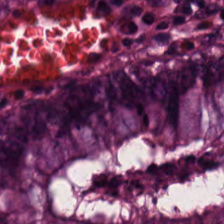Hematoxylin-and-eosin stained section. This patch shows non-neoplastic colon mucosa.
